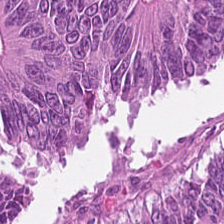H&E stain · 0.5 µm/px. Tissue class — tumor epithelium.
